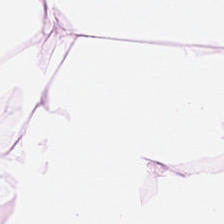Hematoxylin-and-eosin stained section — Q: What is shown in this field?
A: Adipose.
